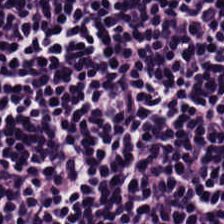Tissue: lymphocyte aggregate.
